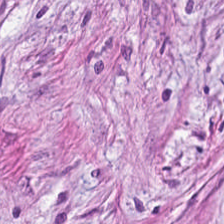Tissue = desmoplastic stroma.
